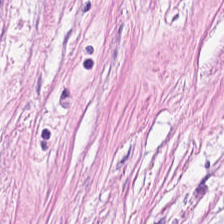Formalin-fixed paraffin-embedded section; H&E stain — Tumor stroma.
